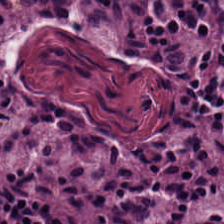H&E-stained tissue section · brightfield microscopy.
The tissue here is lymphocytes.
